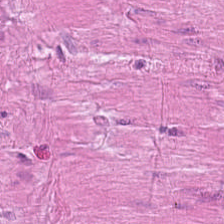H&E-stained tissue section · 0.5 µm per pixel. Q: What tissue type is shown here?
A: Smooth muscle.
